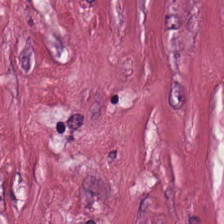H&E — Tissue class: desmoplastic stroma.
